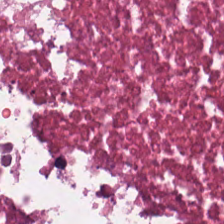H&E; whole-slide-image patch.
Impression — necrotic debris.
